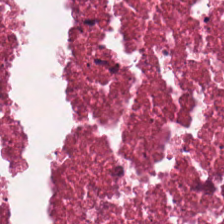Tissue: debris.
